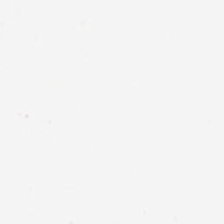H&E. 224×224 pixel tile. This field is background (no tissue).
